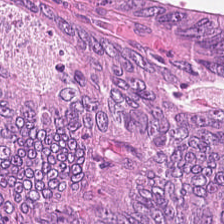H&E — tumor epithelium.
